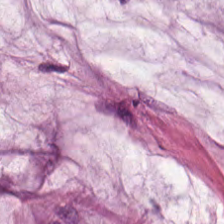H&E. 224×224 pixel tile.
Showing mucus.
